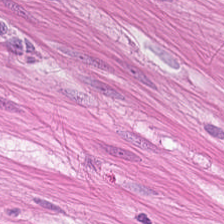Hematoxylin-and-eosin stained section.
The predominant tissue is smooth muscle.
